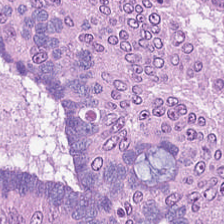H&E-stained tissue section.
Q: What is shown in this field?
A: Adenocarcinoma.
